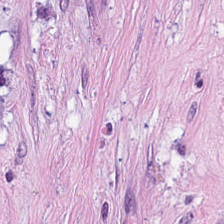H&E-stained tissue section. Predominant tissue — tumor-associated stroma.
